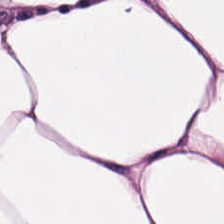Hematoxylin-and-eosin stained section.
Predominantly adipose.
